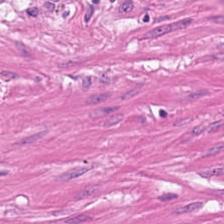Q: What type of tissue is this?
A: The field shows muscularis.
